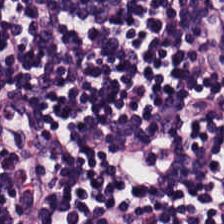Impression → lymphoid infiltrate.
